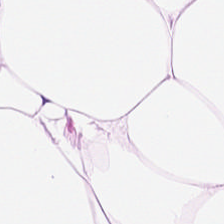H&E-stained section; the field shows adipose tissue.
